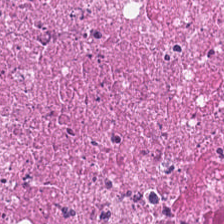H&E-stained tissue section — The predominant tissue is necrotic debris.
